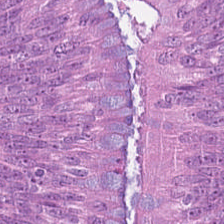Stain: H&E-stained tissue section.
Tissue type: tumor epithelium.
